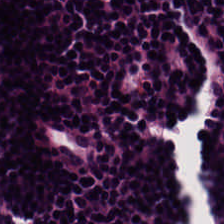Stain: H&E-stained tissue section.
Preparation: formalin-fixed paraffin-embedded section.
Tissue type: lymphoid infiltrate.
